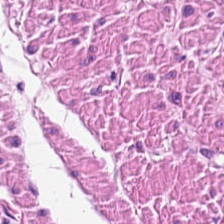Hematoxylin and eosin; 0.5 µm/px; 224×224 px patch.
The predominant tissue is smooth muscle.
